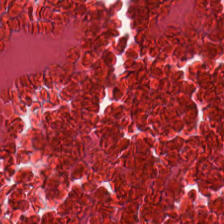H&E-stained tissue section — Showing cellular debris.
